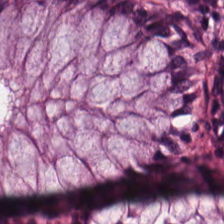Hematoxylin-and-eosin stained section · 20× equivalent magnification · 224×224 px tile. {"tissue_type": "benign colonic mucosa"}
